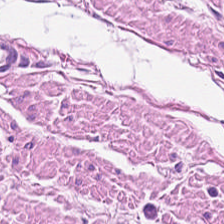Impression — smooth-muscle tissue.
